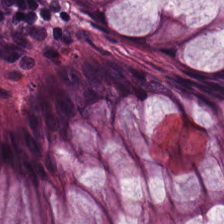H&E stain. 20× equivalent magnification. Showing non-neoplastic colon mucosa.
